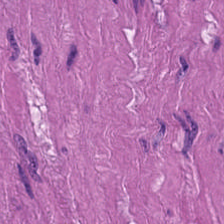20× equivalent magnification · hematoxylin-and-eosin stained section · FFPE tissue section.
The classification is muscularis.
